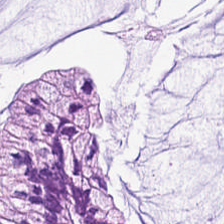Stain: H&E.
Resolution: 0.5 microns per pixel.
Tissue type: mucus.
